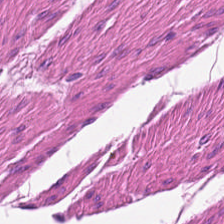Formalin-fixed paraffin-embedded section; hematoxylin and eosin; WSI patch.
Predominant tissue = smooth muscle.
